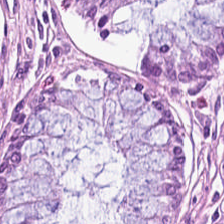224×224 px tile; formalin-fixed paraffin-embedded section; hematoxylin-and-eosin stained section.
Showing normal colon mucosa.
